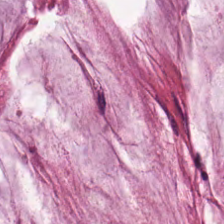H&E-stained tissue section. 0.5 microns per pixel. WSI patch.
The tissue here is extracellular mucin.
